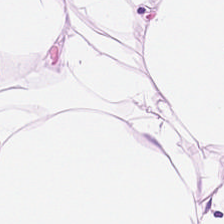H&E; 224×224 pixel tile; 0.5 µm per pixel.
Q: What is shown here?
A: It is adipose.
